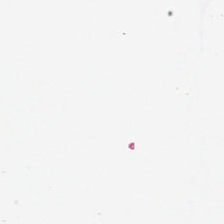H&E-stained tissue section.
This patch shows background.
